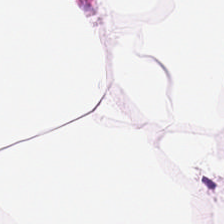Tissue class = adipocytes.
